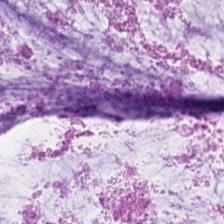Hematoxylin-and-eosin stained section; brightfield microscopy; FFPE — This field is extracellular mucin.
